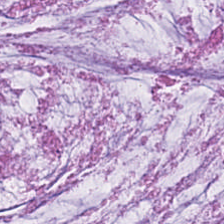Hematoxylin-and-eosin stained section.
Extracellular mucin.
